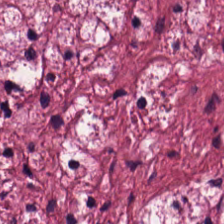Tissue type: cancer-associated stroma.
